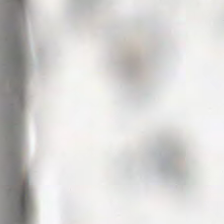H&E stain · FFPE tissue section. Histology → no tissue.
